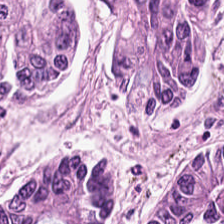Stain: H&E.
Predominant tissue: tumor epithelium.
